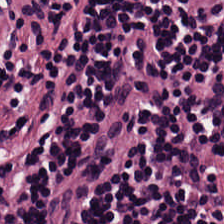Impression → lymphocyte aggregate.
